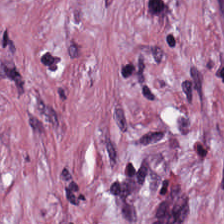This field is cancer-associated stroma.
